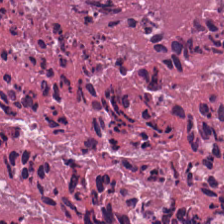{"tissue_type": "cellular debris"}
